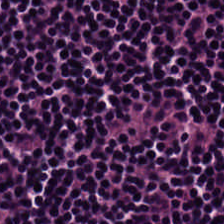Hematoxylin-and-eosin stained section.
Predominant tissue: lymphocytes.
